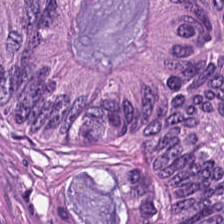Hematoxylin and eosin; 20× equivalent magnification. Q: What is shown in this field?
A: The field shows tumor epithelium.
